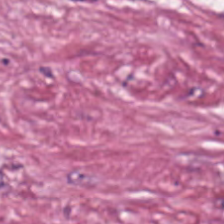Hematoxylin and eosin. 224×224 px patch — This field is desmoplastic stroma.
